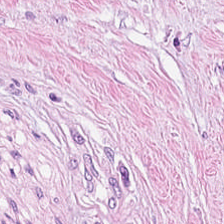H&E stain. 224×224 px tile. The tissue here is desmoplastic stroma.
